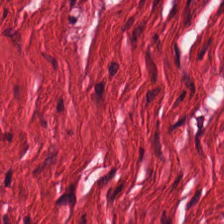Hematoxylin-and-eosin stained section; brightfield microscopy.
Q: What tissue type is shown here?
A: The field shows smooth muscle.
